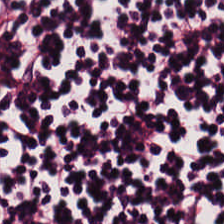H&E-stained tissue section. Tissue type: lymphocytes.
